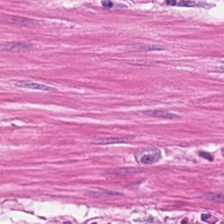0.5 µm/px. Brightfield. H&E stain.
Showing smooth muscle.
